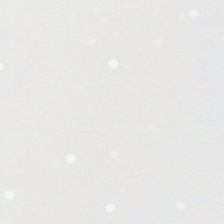H&E stain. Formalin-fixed paraffin-embedded section. Background.
